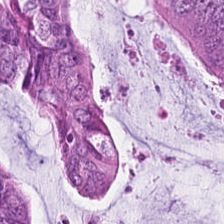Hematoxylin and eosin · whole-slide-image patch. Q: What tissue is shown?
A: This is malignant epithelium.
